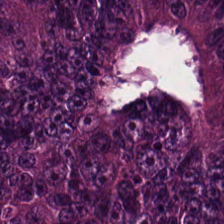224×224 px tile · hematoxylin and eosin.
Impression — malignant epithelium.
